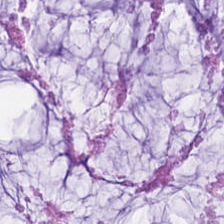0.5 µm/px; FFPE tissue section; hematoxylin and eosin. This patch shows extracellular mucin.
